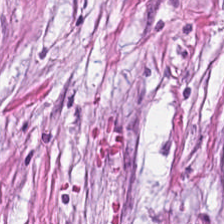H&E stain. Classification — cancer-associated stroma.
